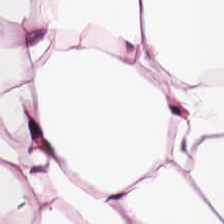Stain: H&E stain.
Resolution: 0.5 µm/px.
Tissue type: adipose tissue.
